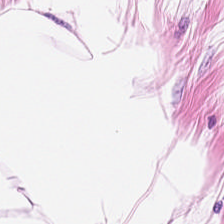Stain: H&E-stained tissue section.
Tissue class: fat tissue.
